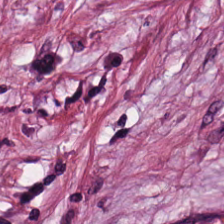224×224 pixel tile. H&E stain — Histology — desmoplastic stroma.
